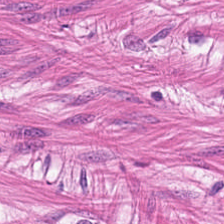Stain: H&E.
Acquisition: whole-slide-image patch.
Tissue: smooth-muscle tissue.
